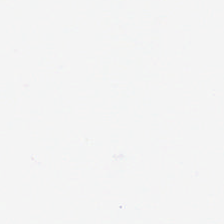H&E stain — This patch shows background (no tissue).
